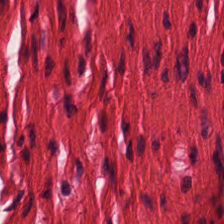0.5 µm per pixel; whole-slide-image patch; hematoxylin and eosin.
Q: What does this patch show?
A: Smooth-muscle tissue.
